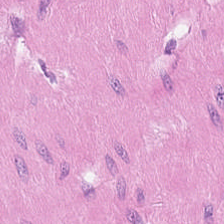FFPE. H&E.
{"tissue_type": "smooth-muscle tissue"}
